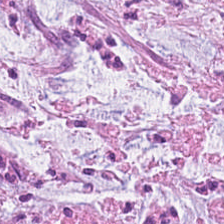Stain: hematoxylin and eosin.
Predominant tissue: cancer-associated stroma.
